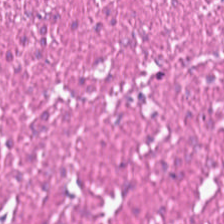This field is smooth muscle.
